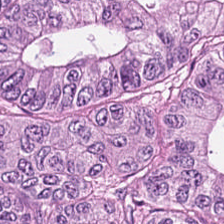{"tissue_type": "malignant epithelium"}
